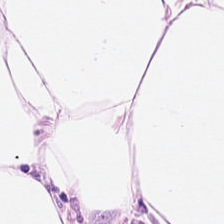Whole-slide-image patch; hematoxylin and eosin. This patch shows adipose tissue.
